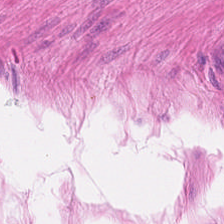Hematoxylin-and-eosin stained section; 224×224 px patch — Impression → smooth-muscle tissue.
